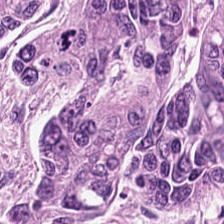FFPE. Whole-slide-image patch. Hematoxylin and eosin. Finding → colorectal adenocarcinoma epithelium.
